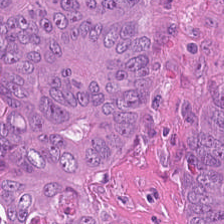0.5 µm/px; H&E stain; formalin-fixed paraffin-embedded section.
This patch shows colorectal adenocarcinoma.
